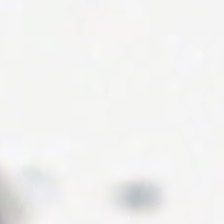Formalin-fixed paraffin-embedded section; hematoxylin-and-eosin stained section — Q: What is shown in this field?
A: This is no tissue.
